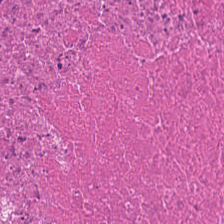H&E stain — The classification is cellular debris.
